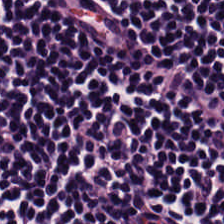Hematoxylin and eosin · FFPE tissue section.
Q: Classify this patch.
A: This is lymphocytic infiltrate.
